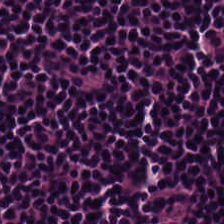Q: What tissue type is shown here?
A: Lymphocytic infiltrate.
